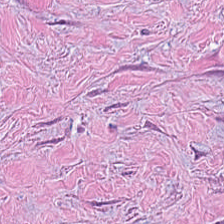H&E-stained tissue section. Q: What is shown in this field?
A: It is desmoplastic stroma.
